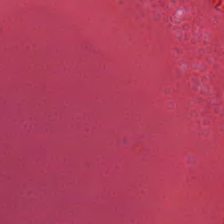H&E stain — Tissue: cellular debris.
